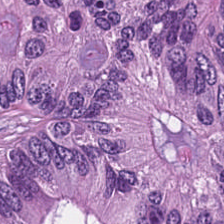Histology — malignant epithelium.
